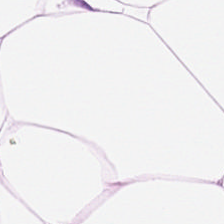224×224 px patch · H&E.
Showing adipocytes.
